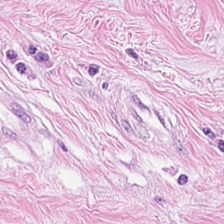Stain: H&E-stained tissue section.
Resolution: 0.5 microns per pixel.
Tissue: tumor-associated stroma.
